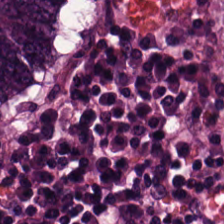Hematoxylin-and-eosin stained section.
Q: What is shown in this field?
A: It is malignant epithelium.
